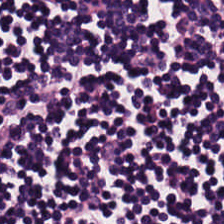H&E stain · 0.5 µm/px. Impression — lymphocyte aggregate.
